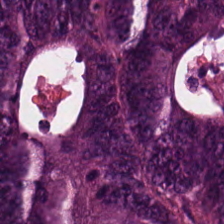Hematoxylin-and-eosin stained section. Whole-slide-image patch.
Q: What type of tissue is this?
A: This is adenocarcinoma.
